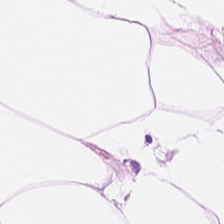Stain: H&E.
Resolution: 0.5 microns per pixel.
Classification: adipose tissue.
